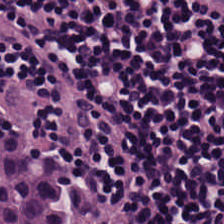Brightfield · 0.5 µm per pixel · H&E stain — {"tissue_type": "lymphoid infiltrate"}
